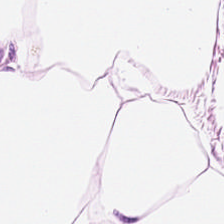Showing adipose tissue.
